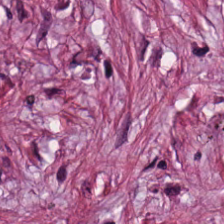Tumor stroma.
